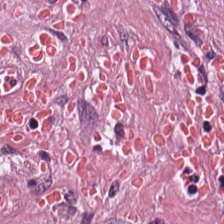224×224 px patch · H&E.
This patch shows tumor stroma.
